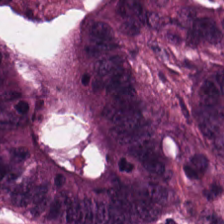Hematoxylin and eosin. The predominant tissue is tumor epithelium.
